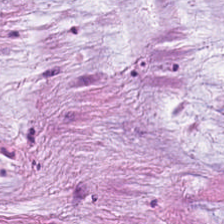Hematoxylin and eosin. Q: What is the predominant tissue type?
A: Extracellular mucin.
